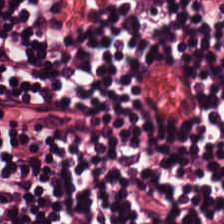Stain: hematoxylin-and-eosin stained section.
Tissue class: lymphoid infiltrate.
